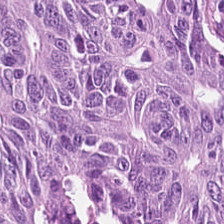Stain: H&E-stained tissue section.
Resolution: 0.5 microns per pixel.
Tissue: tumor epithelium.
